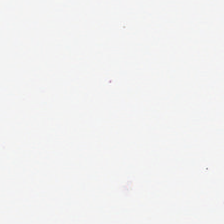H&E.
The content is empty background.
